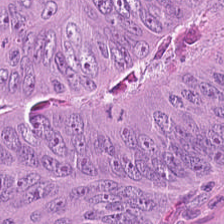Hematoxylin and eosin.
Predominant tissue = adenocarcinoma.
